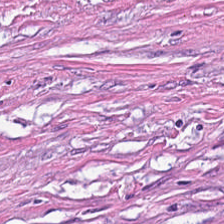H&E stain — The predominant tissue is desmoplastic stroma.
